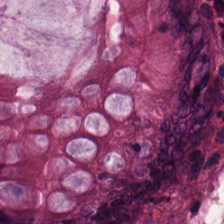This field is non-neoplastic colon mucosa.
